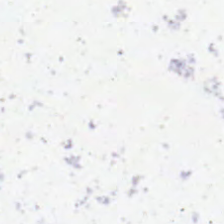{"content": "empty background"}
